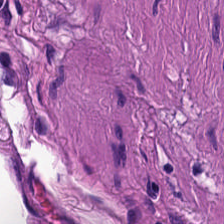{"tissue_type": "smooth muscle"}
